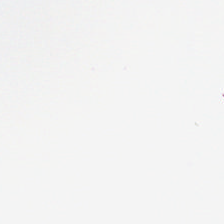H&E. Classification — background.
